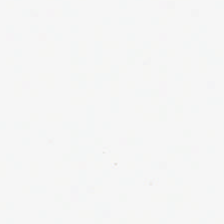Stain: H&E-stained tissue section.
Field content: no tissue.
